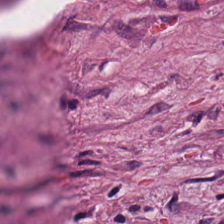Brightfield. H&E. 224×224 px patch. Q: What tissue type is shown here?
A: It is tumor-associated stroma.
